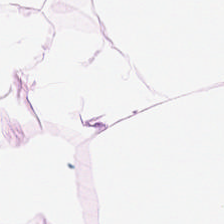H&E-stained tissue section.
Showing adipose tissue.
